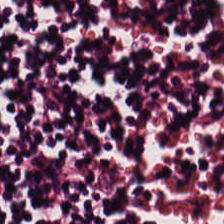H&E — Tissue — lymphocyte aggregate.
